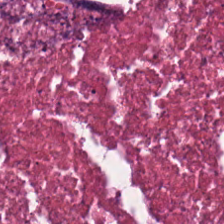Stain: H&E.
Tissue class: necrotic debris.
